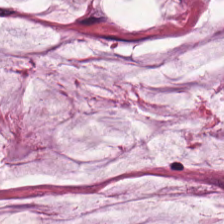Stain: hematoxylin-and-eosin stained section.
Tissue class: mucus.
